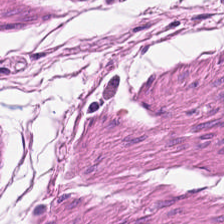H&E — muscularis.
